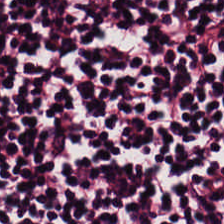H&E stain — Predominantly lymphocytes.
